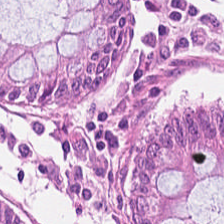224×224 px tile; hematoxylin-and-eosin stained section — Q: Identify the tissue.
A: Benign colonic mucosa.
